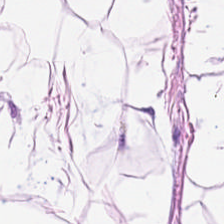H&E-stained tissue section. {"tissue_type": "fat tissue"}
